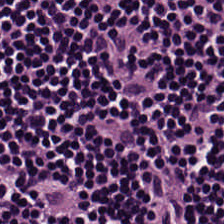The predominant tissue is lymphocyte aggregate.
